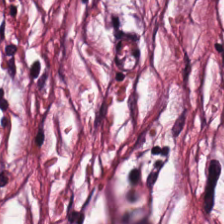H&E-stained tissue section. Q: Identify the tissue.
A: It is cancer-associated stroma.
